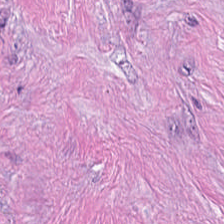Stain: H&E stain.
Tissue class: tumor stroma.
